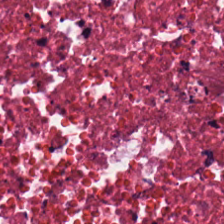20× equivalent magnification · hematoxylin-and-eosin stained section.
Tissue: necrotic debris.
